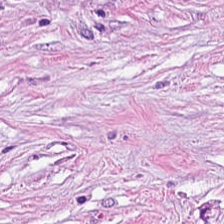This patch shows desmoplastic stroma.
